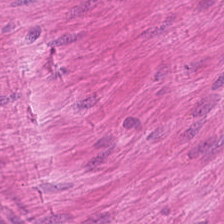Stain: H&E stain.
Preparation: FFPE tissue section.
Resolution: 20× equivalent magnification.
Predominant tissue: muscularis.
